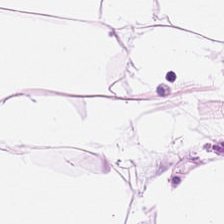Stain: H&E.
Tissue: adipose tissue.
